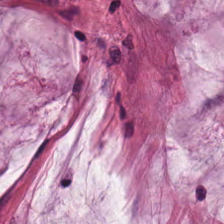Stain: H&E-stained tissue section.
Classification: extracellular mucin.
